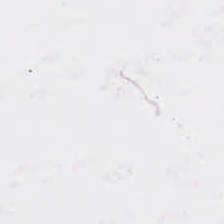Hematoxylin and eosin — Q: What is shown in this field?
A: This is empty background.
